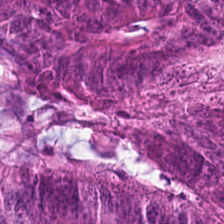Q: Identify the tissue.
A: This is tumor epithelium.
